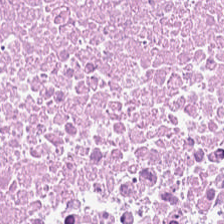Hematoxylin-and-eosin stained section. The predominant tissue is necrotic debris.
